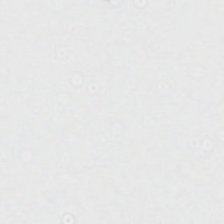Finding — empty background.
